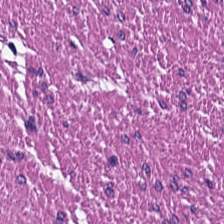Hematoxylin and eosin · FFPE — This field is smooth muscle.
